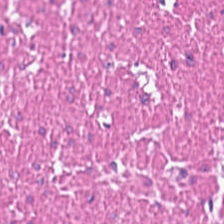Hematoxylin-and-eosin stained section. {"tissue_type": "smooth-muscle tissue"}
